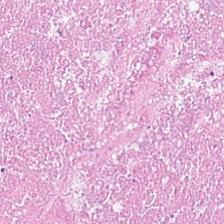H&E. FFPE. Cellular debris.
